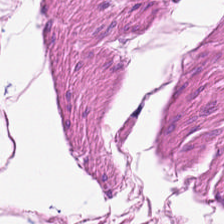H&E-stained tissue section. Classification = smooth muscle.
